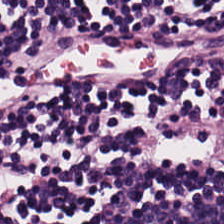H&E stain — Q: What is shown in this field?
A: This is lymphocyte aggregate.
